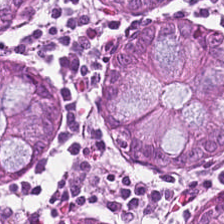H&E. Benign colonic mucosa.
